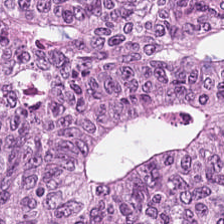H&E.
Classification = colorectal adenocarcinoma.
